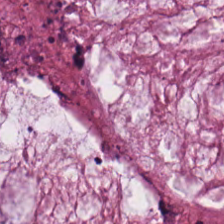H&E stain; FFPE tissue section — Classification = mucin.
